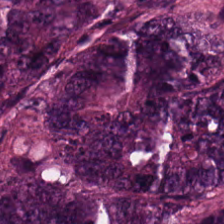Stain: hematoxylin-and-eosin stained section.
Acquisition: brightfield.
Resolution: 0.5 µm/px.
Classification: colorectal adenocarcinoma.
